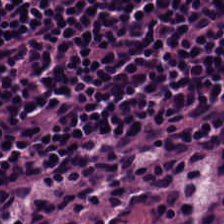Tissue class — lymphocytes.
